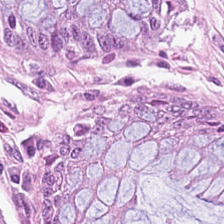Hematoxylin-and-eosin stained section. Brightfield. 20× equivalent magnification — Q: What tissue is shown?
A: The field shows normal colonic mucosa.
